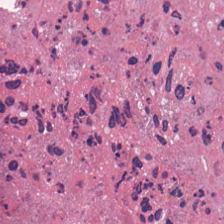H&E-stained tissue section — Tissue class = debris.
